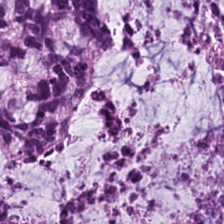Stain: hematoxylin and eosin.
Classification: mucin.
